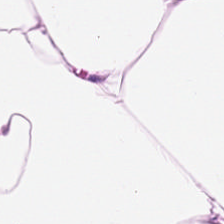FFPE tissue section; hematoxylin and eosin; 224×224 px patch. Adipocytes.
